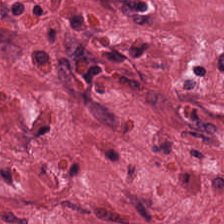Classification: desmoplastic stroma.
